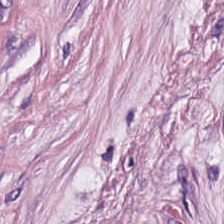Desmoplastic stroma.
